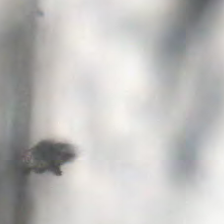Hematoxylin-and-eosin stained section; WSI patch.
Field content: background.
